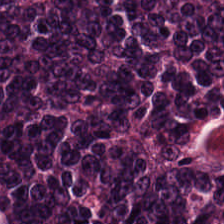H&E stain · FFPE · whole-slide-image patch — Q: What is the predominant tissue type?
A: This is tumor epithelium.
